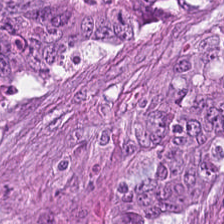224×224 pixel tile · H&E. This patch shows colorectal adenocarcinoma.
